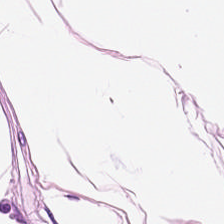This field is adipocytes.
